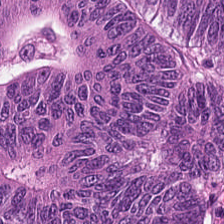H&E-stained tissue section — Q: What is the predominant tissue type?
A: This is tumor epithelium.
